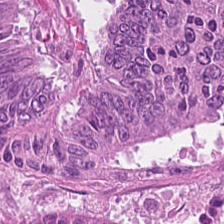Stain: hematoxylin-and-eosin stained section.
Classification: colorectal adenocarcinoma.
